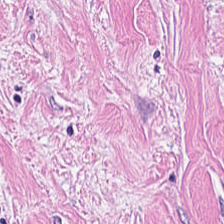H&E-stained section; the field shows cancer-associated stroma.
